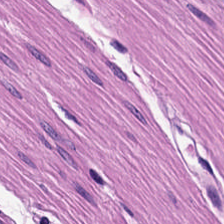H&E stain · formalin-fixed paraffin-embedded section. Predominantly smooth muscle.
